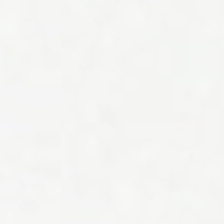This field is background (no tissue).
